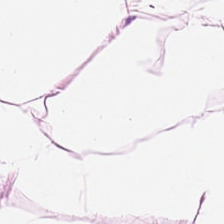Hematoxylin-and-eosin stained section.
Showing adipose tissue.
